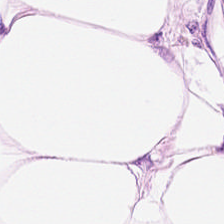Q: Classify this patch.
A: The field shows adipocytes.
